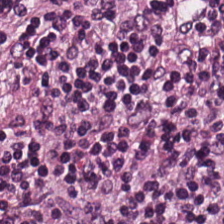H&E. {"tissue_type": "lymphoid infiltrate"}
